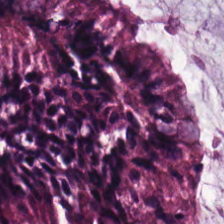H&E-stained section; the field shows non-neoplastic colon mucosa.
